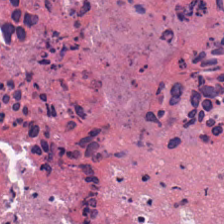0.5 microns per pixel · hematoxylin and eosin.
Q: What is the predominant tissue type?
A: The field shows necrotic debris.
